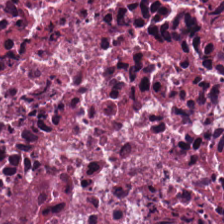Stain: H&E.
Resolution: 0.5 microns per pixel.
Tissue class: debris.
